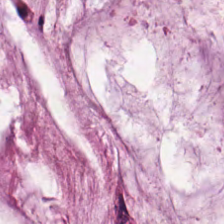20× equivalent magnification · H&E · whole-slide-image patch. The tissue here is mucus.
